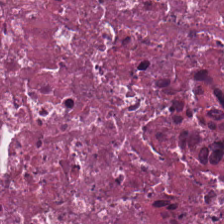H&E-stained tissue section — Predominant tissue = debris.
